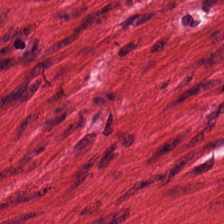H&E-stained tissue section — Tissue type = smooth muscle.
